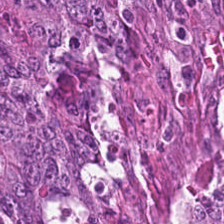Whole-slide-image patch · H&E stain. {"tissue_type": "adenocarcinoma"}
